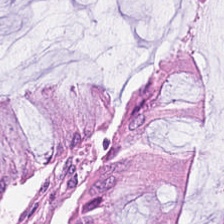FFPE tissue section · H&E-stained tissue section.
{"tissue_type": "benign colonic mucosa"}
